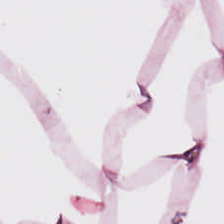Q: What does this patch show?
A: Adipocytes.
